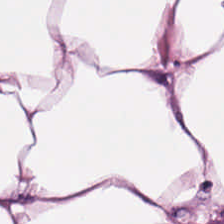Hematoxylin-and-eosin stained section. Predominant tissue: adipose.
